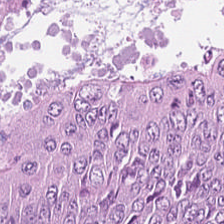Stain: hematoxylin-and-eosin stained section.
Classification: colorectal adenocarcinoma epithelium.
